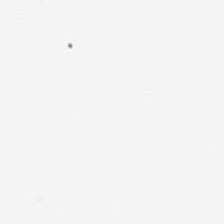Classification = empty background.
